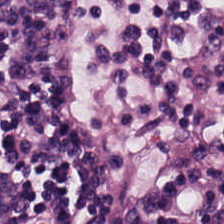Hematoxylin-and-eosin stained section.
Tissue class = lymphocytes.
